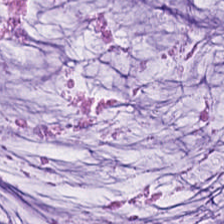Hematoxylin and eosin — Predominant tissue: mucin.
